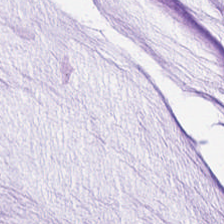H&E — The tissue is extracellular mucin.
